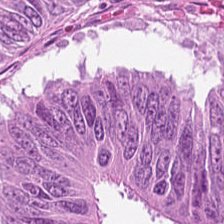Tumor epithelium.
